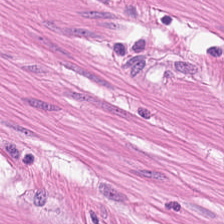224×224 px tile · H&E. Finding — muscularis.
